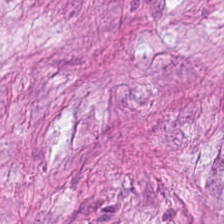0.5 µm per pixel. H&E. Q: What is shown in this field?
A: This is desmoplastic stroma.
